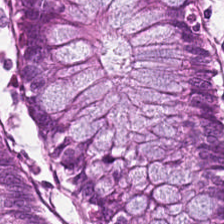The tissue is normal colonic mucosa.
